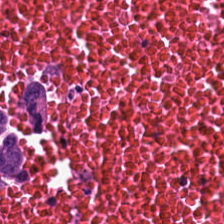Hematoxylin-and-eosin stained section — This field is debris.
